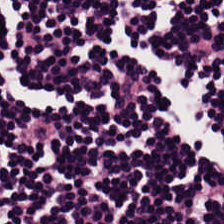H&E stain.
This patch shows lymphoid infiltrate.
